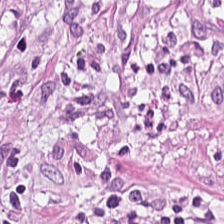224×224 pixel tile. H&E-stained tissue section. FFPE tissue section. Tumor stroma.
